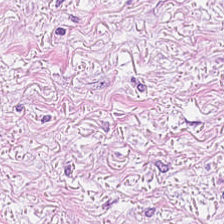Hematoxylin and eosin. 0.5 µm/px. 224×224 pixel tile.
Histology — tumor-associated stroma.
